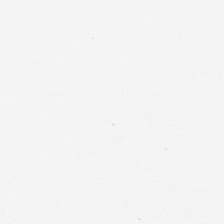H&E stain. No tissue present; background only.
